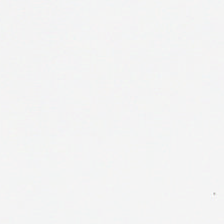Stain: hematoxylin and eosin.
Classification: empty background.
